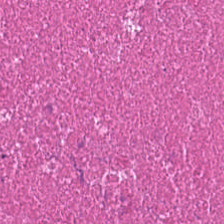Hematoxylin and eosin · formalin-fixed paraffin-embedded section. Predominantly necrotic debris.
